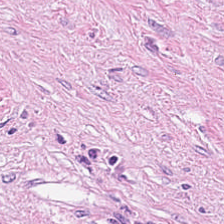FFPE tissue section · H&E stain. Tissue class: tumor stroma.
